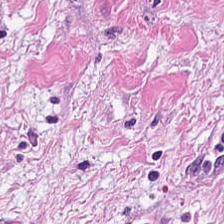H&E-stained tissue section. Tissue: cancer-associated stroma.
